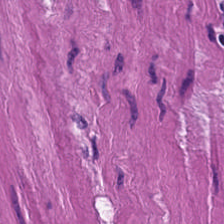224×224 px patch · hematoxylin-and-eosin stained section. Q: Identify the tissue.
A: It is smooth muscle.
